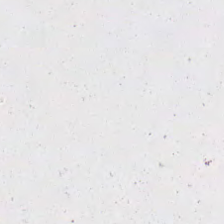Field content: empty background.
